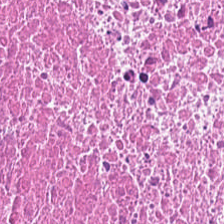H&E.
Tissue = necrotic debris.
